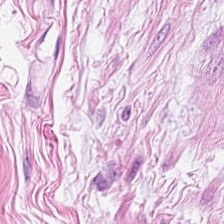Tissue class: adipose.
